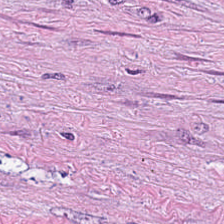Stain: hematoxylin and eosin.
Predominant tissue: desmoplastic stroma.
